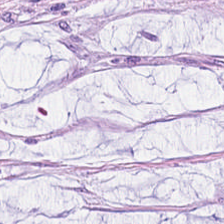Tissue type — mucus.
